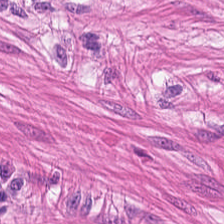H&E; 20× equivalent magnification. Predominantly smooth-muscle tissue.
